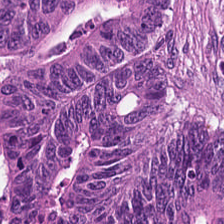{"tissue_type": "colorectal adenocarcinoma"}
